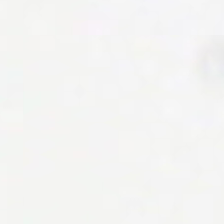Hematoxylin-and-eosin stained section.
Q: What is shown here?
A: It is empty background.
